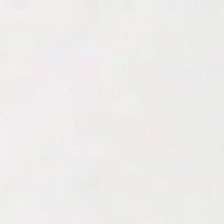Stain: H&E-stained tissue section.
Tile size: 224×224 px patch.
Field content: background.
